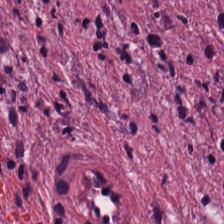H&E stain. Q: What type of tissue is this?
A: The field shows desmoplastic stroma.
